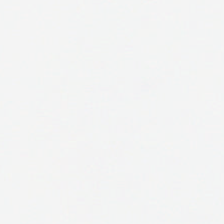H&E-stained tissue section; formalin-fixed paraffin-embedded section; 224×224 px patch.
Empty field — empty background.
